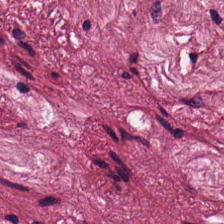Q: What type of tissue is this?
A: This is tumor stroma.
